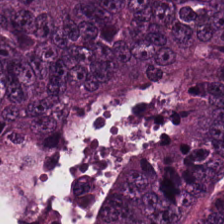H&E stain · brightfield — Predominantly colorectal adenocarcinoma.
